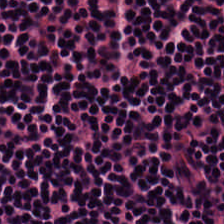FFPE. Hematoxylin and eosin. 224×224 px tile. The tissue is lymphoid infiltrate.
